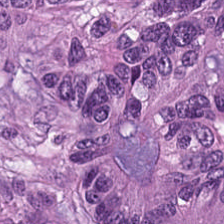H&E stain — Histology → colorectal adenocarcinoma.
